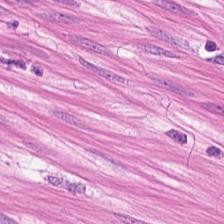Hematoxylin-and-eosin section: smooth muscle.
